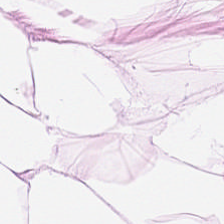The tissue class is adipose tissue.
